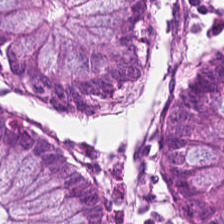FFPE; H&E — Predominant tissue = non-neoplastic colon mucosa.
